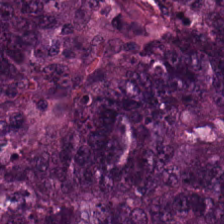Q: Classify this patch.
A: This is colorectal adenocarcinoma epithelium.
